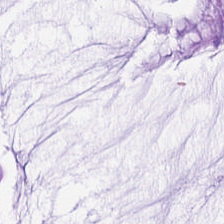H&E-stained section; the field shows mucin.
